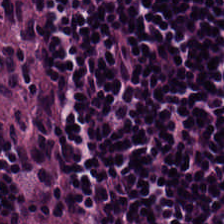Hematoxylin and eosin — {"tissue_type": "lymphocytes"}
